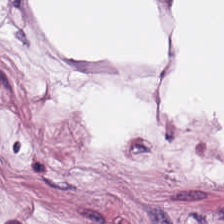H&E-stained tissue section. Q: What tissue type is shown here?
A: This is adipose tissue.
